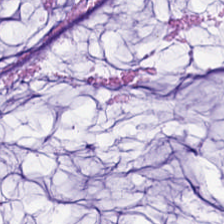Tissue class = mucus.
